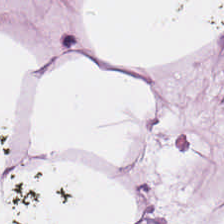Stain: hematoxylin-and-eosin stained section.
Tissue type: fat tissue.
